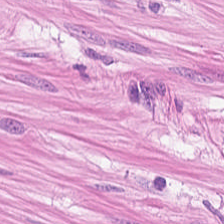H&E-stained tissue section.
The tissue class is smooth-muscle tissue.
